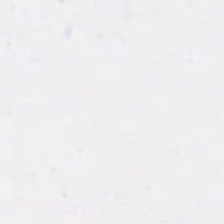Hematoxylin and eosin.
Field content: no tissue.
